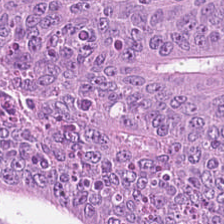Predominant tissue = tumor epithelium.
